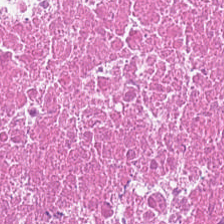Histology → debris.
